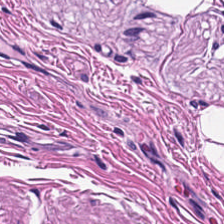{"tissue_type": "smooth muscle"}
